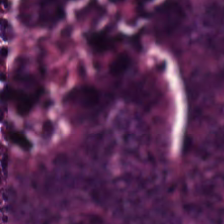H&E-stained tissue section. Tissue type: colorectal adenocarcinoma epithelium.
